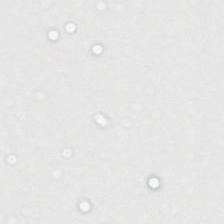H&E stain. FFPE tissue section. 0.5 microns per pixel. Q: What does this patch show?
A: No tissue.
